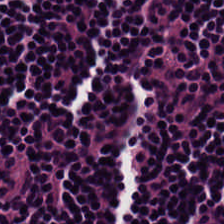Whole-slide-image patch · H&E. Lymphocyte aggregate.
